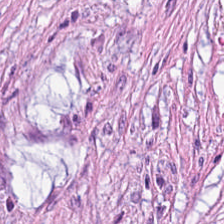H&E-stained tissue section — Q: What tissue type is shown here?
A: Cancer-associated stroma.
